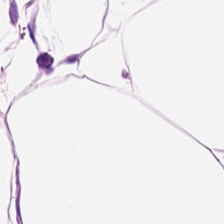Impression — adipose.
